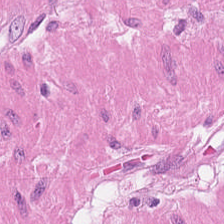{"tissue_type": "muscularis"}
